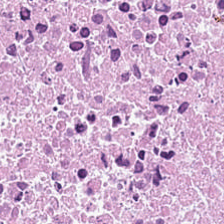Histology → cellular debris.
